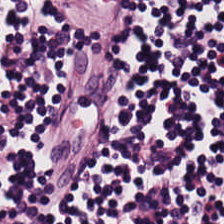H&E stain · WSI patch.
The tissue class is lymphocytic infiltrate.
